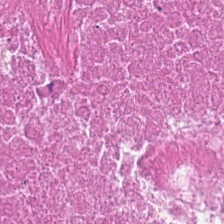Stain: H&E stain.
Resolution: 0.5 microns per pixel.
Tissue type: debris.
